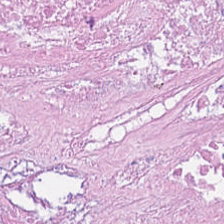Impression → necrotic debris.
